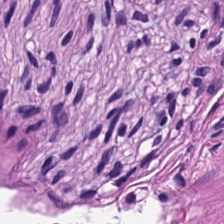Tissue — smooth-muscle tissue.
